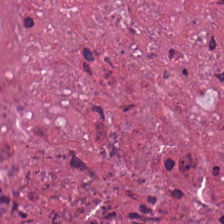0.5 µm per pixel · H&E — Classification: necrotic debris.
